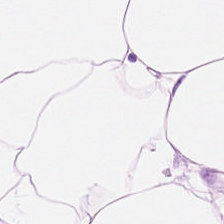224×224 px patch · 20× equivalent magnification · H&E. Impression — adipocytes.
